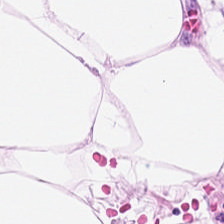{"tissue_type": "adipose"}
